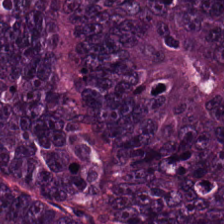H&E-stained tissue section.
Impression — tumor epithelium.
